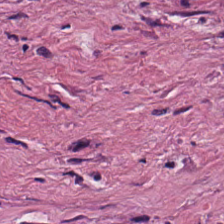H&E.
This patch shows desmoplastic stroma.
